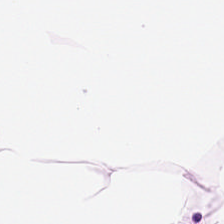H&E-stained tissue section. Q: Classify this patch.
A: It is adipose.
